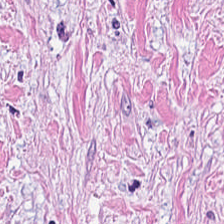FFPE tissue section; H&E.
The tissue is desmoplastic stroma.
